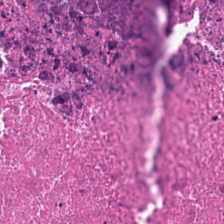Hematoxylin-and-eosin stained section. Showing debris.
